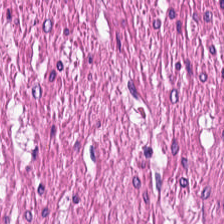Stain: hematoxylin-and-eosin stained section.
Classification: muscularis.
